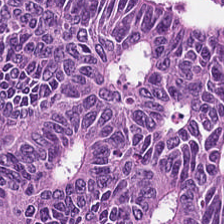{"tissue_type": "malignant epithelium"}
